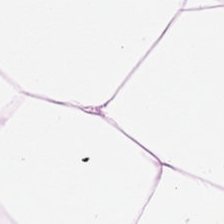H&E; 0.5 µm/px; FFPE.
This field is fat tissue.
